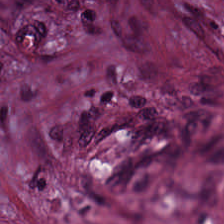H&E — The tissue is desmoplastic stroma.
